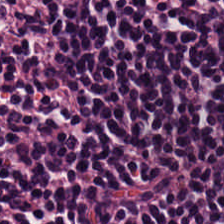Q: Classify this patch.
A: This is lymphocytes.
